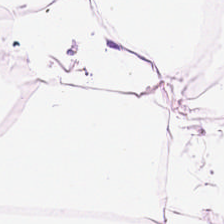FFPE · hematoxylin and eosin. Classification — adipose.
